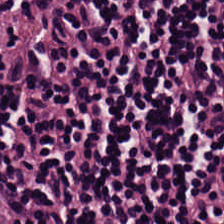H&E stain. The tissue here is lymphoid infiltrate.
